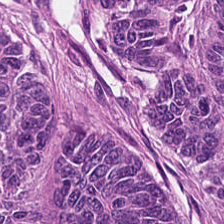224×224 pixel tile. H&E stain.
Tissue class = adenocarcinoma.
